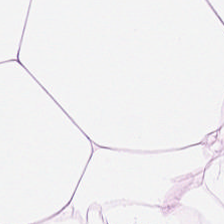H&E-stained tissue section · 0.5 microns per pixel — Adipocytes.
